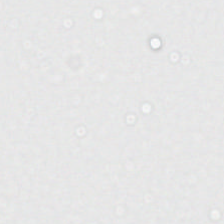Hematoxylin-and-eosin stained section.
Histology → no tissue.
